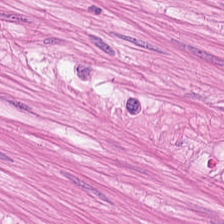Hematoxylin-and-eosin stained section. Showing smooth-muscle tissue.
